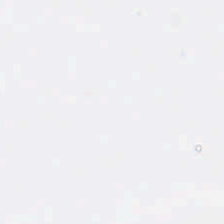Brightfield. H&E-stained tissue section.
Content = empty background.
